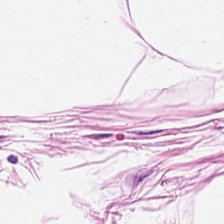Stain: H&E stain.
Predominant tissue: adipose.
